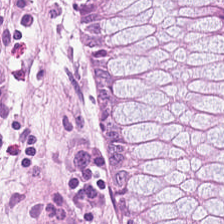Brightfield · H&E stain.
Impression — normal colonic mucosa.
